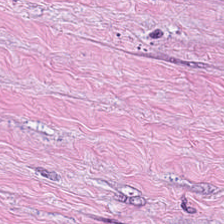The predominant tissue is tumor stroma.
